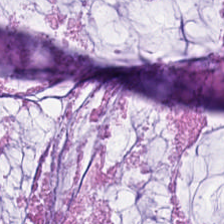H&E-stained tissue section — The tissue here is mucin.
